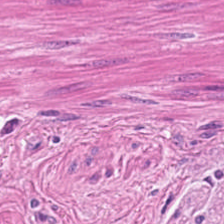FFPE tissue section; H&E. Predominantly smooth muscle.
